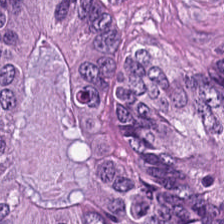{"tissue_type": "colorectal adenocarcinoma epithelium"}
